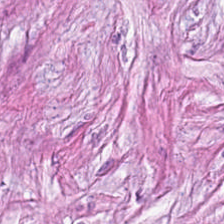Stain: H&E.
Tissue class: cancer-associated stroma.
